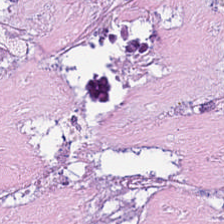Impression — cellular debris.
